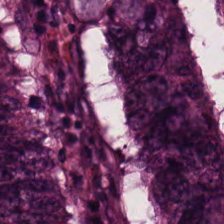Stain: H&E.
Preparation: FFPE tissue section.
Tissue type: adenocarcinoma.
